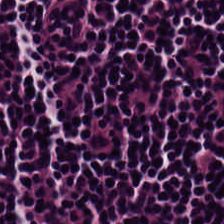H&E stain.
Q: What does this patch show?
A: Lymphocytic infiltrate.
